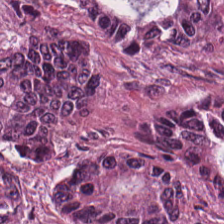224×224 px patch · brightfield · H&E-stained tissue section.
The tissue class is colorectal adenocarcinoma.
